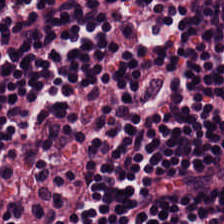Stain: H&E-stained tissue section.
Tissue class: lymphocytic infiltrate.
